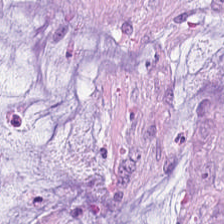H&E · brightfield microscopy · 0.5 µm per pixel.
Q: What is shown in this field?
A: It is mucin.
